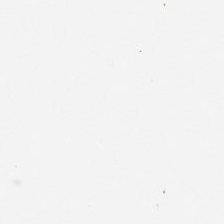Empty field — background.
